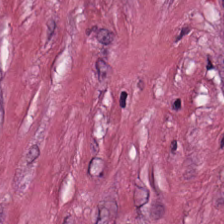Stain: hematoxylin and eosin.
Acquisition: brightfield microscopy.
Tile size: 224×224 pixel tile.
Classification: desmoplastic stroma.
